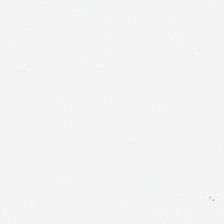224×224 px patch · 0.5 microns per pixel · hematoxylin-and-eosin stained section. Field content: empty background.
